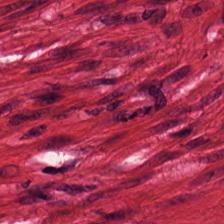H&E-stained tissue section. Formalin-fixed paraffin-embedded section. 0.5 microns per pixel — Tissue class = smooth muscle.
